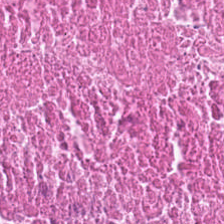H&E-stained tissue section. The predominant tissue is cellular debris.
